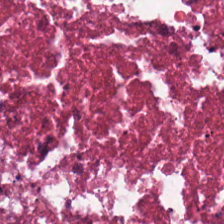This patch shows necrotic debris.
